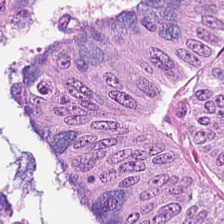Hematoxylin-and-eosin section: adenocarcinoma.
